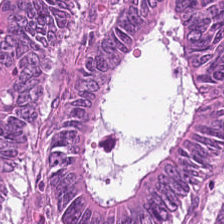Stain: H&E.
Classification: tumor epithelium.
